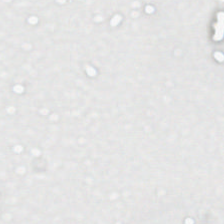Hematoxylin and eosin.
No tissue present; background only.
